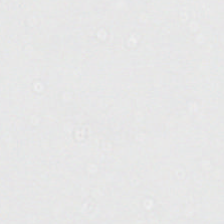H&E stain · brightfield · FFPE tissue section — {"content": "no tissue"}
